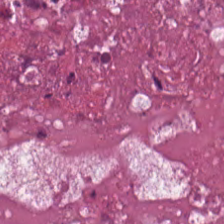Brightfield microscopy; 224×224 pixel tile; H&E stain. Classification: debris.
